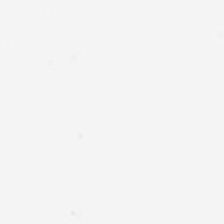0.5 µm/px · H&E stain — No tissue present; background only.
